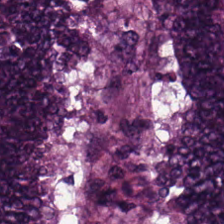FFPE tissue section; hematoxylin-and-eosin stained section — Showing tumor epithelium.
